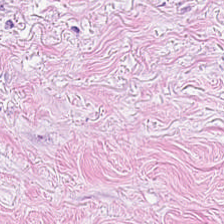Tumor-associated stroma.
